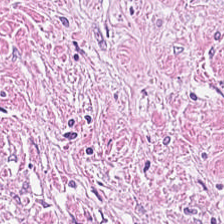H&E.
The predominant tissue is cancer-associated stroma.
